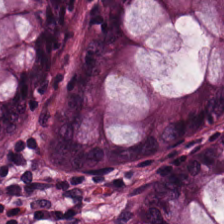Hematoxylin and eosin. Formalin-fixed paraffin-embedded section — {"tissue_type": "non-neoplastic colon mucosa"}
